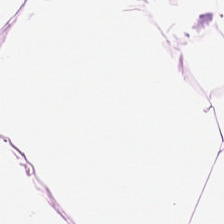Stain: H&E-stained tissue section.
Predominant tissue: fat tissue.
